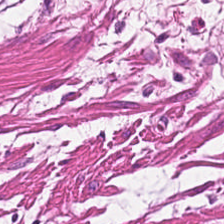H&E-stained tissue section — Showing smooth muscle.
